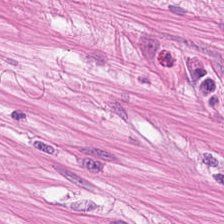Impression — muscularis.
